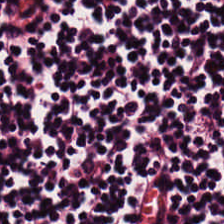Classification = lymphocyte aggregate.
